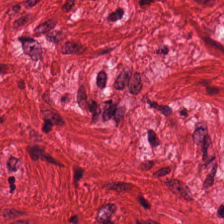H&E; 0.5 microns per pixel — Q: What type of tissue is this?
A: The field shows muscularis.
